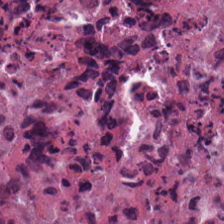Stain: hematoxylin and eosin.
Tissue class: debris.
